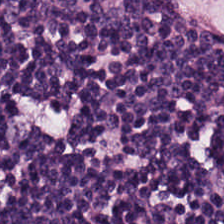Q: What type of tissue is this?
A: This is lymphocytes.
